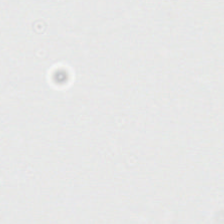H&E stain.
Empty field — background (no tissue).
